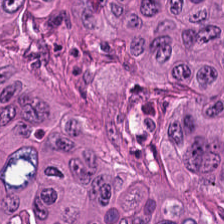H&E-stained tissue section showing colorectal adenocarcinoma epithelium.
